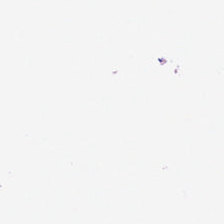Hematoxylin-and-eosin stained section — Classification: empty background.
